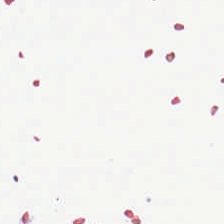0.5 microns per pixel · 224×224 px tile · H&E stain — Empty field — background.
